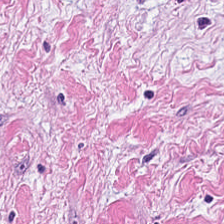FFPE · hematoxylin-and-eosin stained section · 0.5 µm/px. Classification: desmoplastic stroma.
